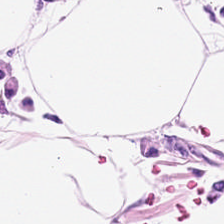Whole-slide-image patch · H&E-stained tissue section · 224×224 px patch.
Q: What is the predominant tissue type?
A: This is adipose.
